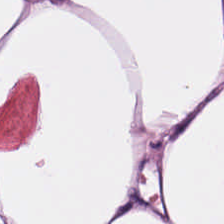Stain: H&E-stained tissue section.
Tile size: 224×224 px tile.
Classification: adipocytes.
